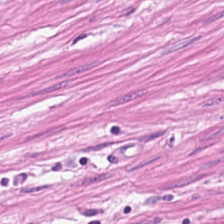Hematoxylin and eosin; FFPE; 20× equivalent magnification. Q: What type of tissue is this?
A: The field shows smooth muscle.
